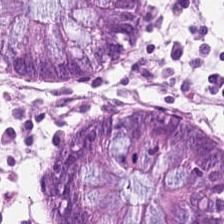FFPE. Brightfield microscopy. H&E stain. Q: What is the predominant tissue type?
A: This is normal colonic mucosa.
